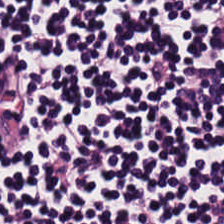H&E-stained tissue section. The predominant tissue is lymphocytic infiltrate.
